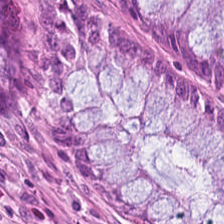H&E stain. This patch shows non-neoplastic colon mucosa.
